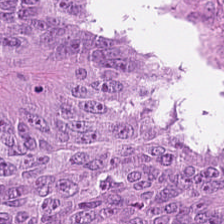H&E-stained tissue section — Showing colorectal adenocarcinoma epithelium.
